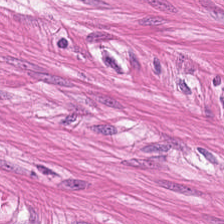Hematoxylin-and-eosin stained section.
{"tissue_type": "smooth-muscle tissue"}
